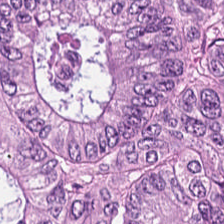H&E stain. Q: What is the predominant tissue type?
A: This is tumor epithelium.
